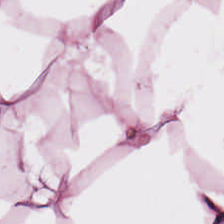Stain: hematoxylin and eosin.
Classification: adipose tissue.
